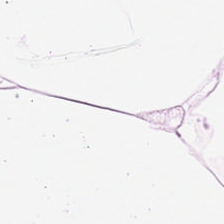H&E-stained tissue section; 20× equivalent magnification — Classification — adipose.
